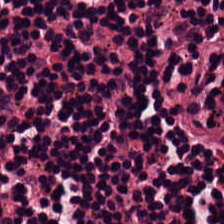H&E-stained tissue section · 224×224 pixel tile.
Predominantly lymphocytic infiltrate.
